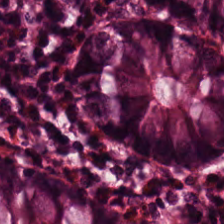Hematoxylin-and-eosin stained section. FFPE tissue section. WSI patch — Normal colonic mucosa.
